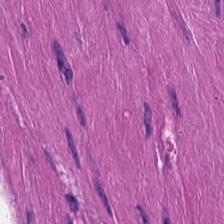Predominant tissue — muscularis.
